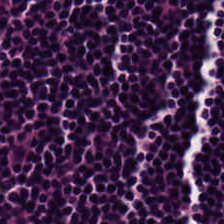Stain: H&E stain.
Classification: lymphocytes.
